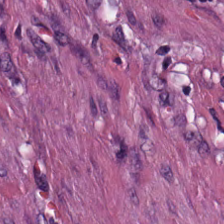Stain: H&E-stained tissue section.
Tissue class: tumor stroma.
